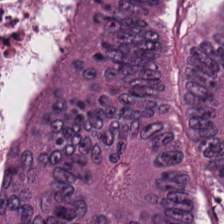224×224 px patch; H&E stain. Q: What tissue type is shown here?
A: Adenocarcinoma.
